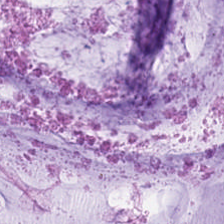Hematoxylin-and-eosin stained section.
Showing mucus.
